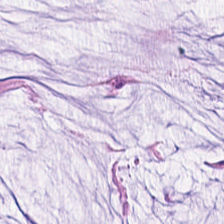The tissue type is mucin.
